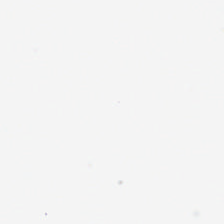Hematoxylin and eosin — No tissue present; background only.
